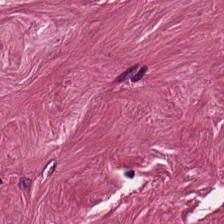H&E patch showing cancer-associated stroma.
